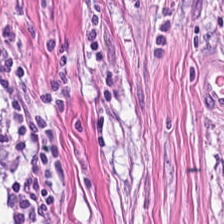Hematoxylin-and-eosin section: tumor-associated stroma.
